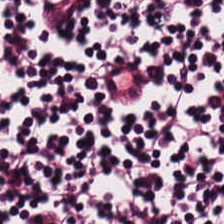H&E-stained section; the field shows lymphocytic infiltrate.
